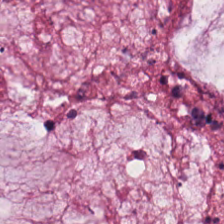H&E — Predominantly extracellular mucin.
